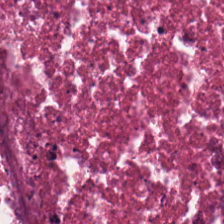This field is cellular debris.
